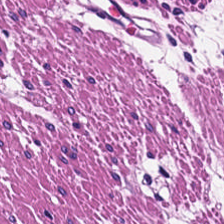Hematoxylin-and-eosin stained section. Impression → smooth-muscle tissue.
